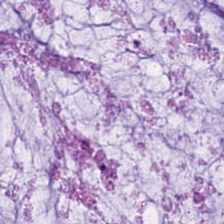0.5 microns per pixel; hematoxylin-and-eosin stained section; FFPE tissue section.
Tissue class: mucus.
